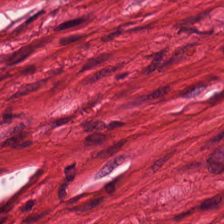Stain: H&E stain.
Resolution: 20× equivalent magnification.
Predominant tissue: smooth muscle.
